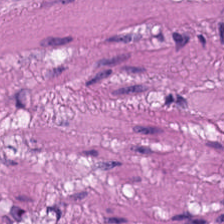Predominantly smooth-muscle tissue.
